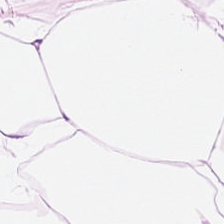Stain: H&E.
Tissue class: fat tissue.
